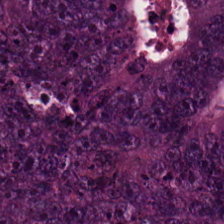Hematoxylin-and-eosin stained section. Whole-slide-image patch.
Colorectal adenocarcinoma.
